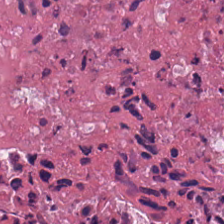H&E — This field is necrotic debris.
